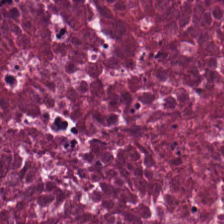Stain: H&E.
Tissue type: debris.
